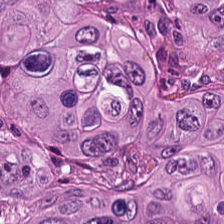224×224 pixel tile · H&E · brightfield microscopy.
The tissue here is adenocarcinoma.
